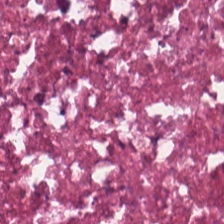224×224 px tile · H&E-stained tissue section. Predominant tissue = cellular debris.
